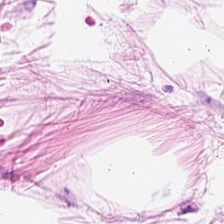The tissue is adipose tissue.
